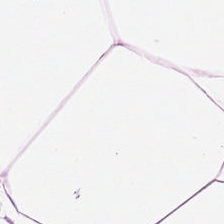Histology → adipose tissue.
